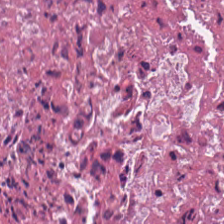224×224 pixel tile; H&E-stained tissue section. Q: What type of tissue is this?
A: Necrotic debris.
